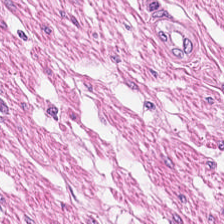Stain: H&E stain.
Tissue: smooth muscle.
